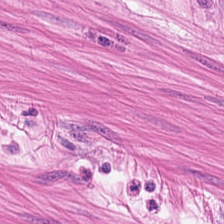Histology — smooth muscle.
